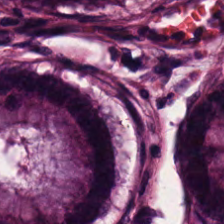FFPE · hematoxylin and eosin. Q: Classify this patch.
A: This is non-neoplastic colon mucosa.
